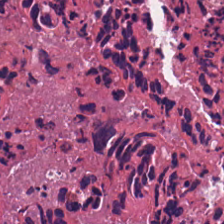224×224 px tile; hematoxylin and eosin; 0.5 µm/px — Q: What type of tissue is this?
A: It is debris.
